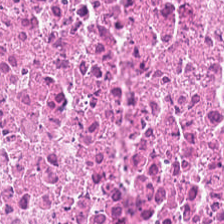Hematoxylin and eosin — Tissue type = debris.
